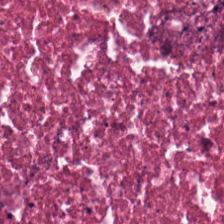H&E; 224×224 px tile. Tissue — necrotic debris.
